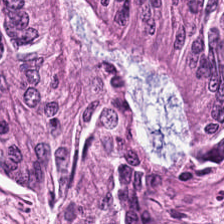The classification is colorectal adenocarcinoma.
